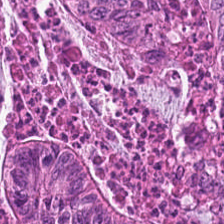Hematoxylin-and-eosin stained section — Finding — colorectal adenocarcinoma.
